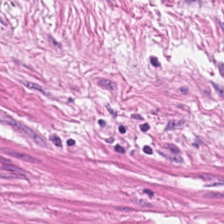Hematoxylin and eosin.
Muscularis.
